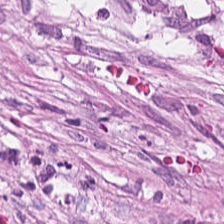Tissue type = desmoplastic stroma.
